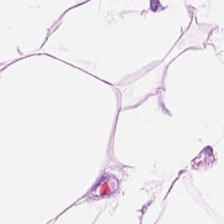H&E-stained tissue section; 224×224 px tile. Predominant tissue: adipocytes.
